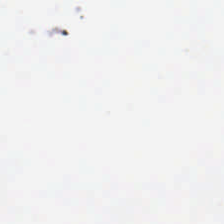FFPE tissue section · H&E · whole-slide-image patch. The field content is background (no tissue).
